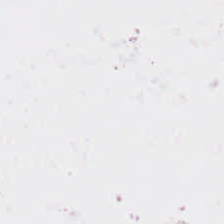Stain: H&E-stained tissue section.
Resolution: 0.5 microns per pixel.
Tile size: 224×224 px tile.
Field content: empty background.
